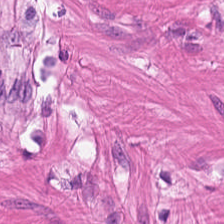Q: Classify this patch.
A: It is muscularis.
